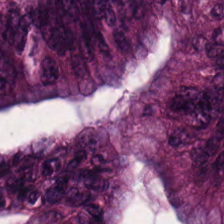H&E-stained tissue section · whole-slide-image patch · formalin-fixed paraffin-embedded section.
Colorectal adenocarcinoma epithelium.
